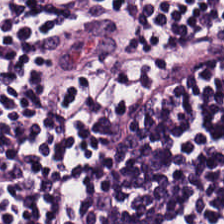Lymphoid infiltrate.
